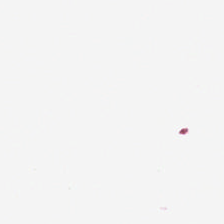Hematoxylin and eosin · brightfield microscopy.
The classification is no tissue.
